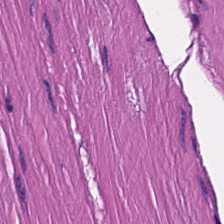H&E stain. Tissue — smooth-muscle tissue.
